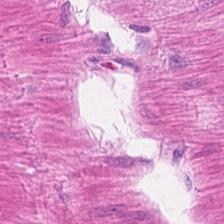Hematoxylin and eosin.
Tissue class: smooth-muscle tissue.
